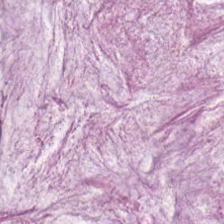224×224 pixel tile. H&E. Whole-slide-image patch. This patch shows mucus.
